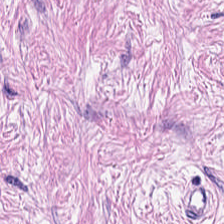H&E.
The tissue here is desmoplastic stroma.
